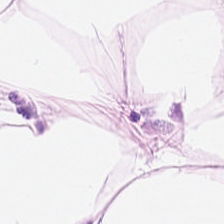H&E stain. Predominant tissue: adipose tissue.
